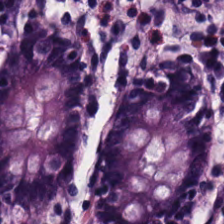H&E. {"tissue_type": "non-neoplastic colon mucosa"}
